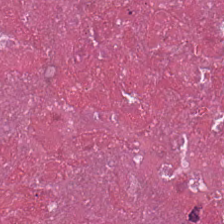Hematoxylin-and-eosin stained section; 0.5 µm per pixel.
Q: What is shown in this field?
A: The field shows necrotic debris.
